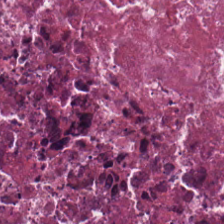WSI patch; hematoxylin-and-eosin stained section.
Predominantly debris.
